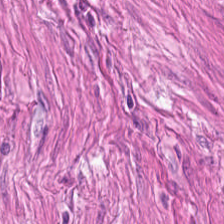H&E — Predominantly smooth-muscle tissue.
